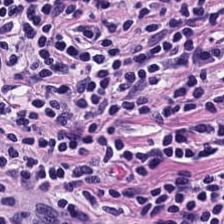Tissue — lymphoid infiltrate.
